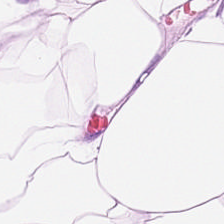{"tissue_type": "fat tissue"}
